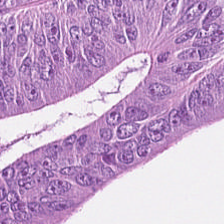Hematoxylin-and-eosin stained section; 0.5 microns per pixel — Predominantly tumor epithelium.
